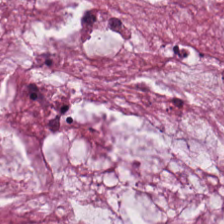H&E.
This patch shows mucin.
